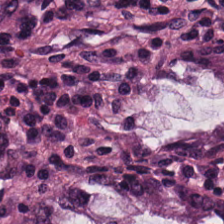H&E stain; 0.5 µm/px — Q: Identify the tissue.
A: It is normal colonic mucosa.
